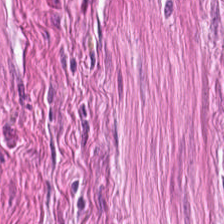20× equivalent magnification. H&E — This field is muscularis.
